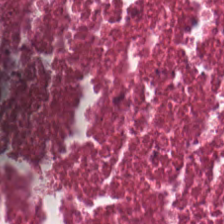H&E — Showing necrotic debris.
